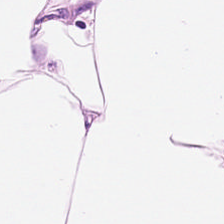Stain: H&E stain.
Preparation: FFPE tissue section.
Tile size: 224×224 px tile.
Tissue class: adipose tissue.
